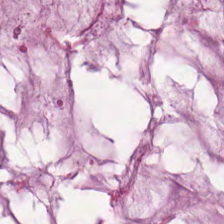Showing mucin.
